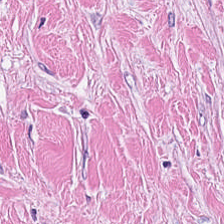0.5 µm/px · H&E stain. Q: What is shown in this field?
A: It is tumor stroma.
